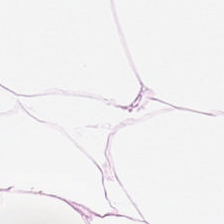H&E stain — Q: What type of tissue is this?
A: It is adipose.
